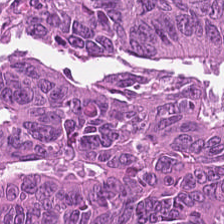Formalin-fixed paraffin-embedded section. H&E stain — Classification = tumor epithelium.
